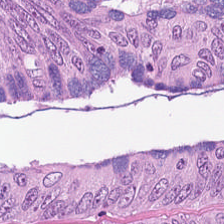H&E — colorectal adenocarcinoma.
